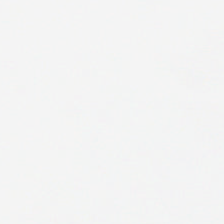Hematoxylin and eosin — {"content": "empty background"}
